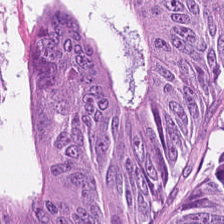Finding — colorectal adenocarcinoma epithelium.
